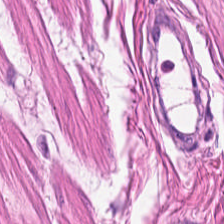Classification: smooth-muscle tissue.
